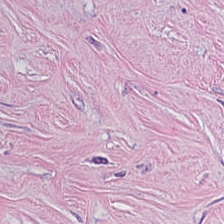This field is tumor stroma.
